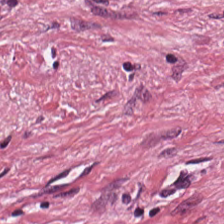H&E.
Predominant tissue — tumor-associated stroma.
